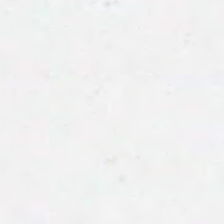Q: What does this patch show?
A: It is background (no tissue).
